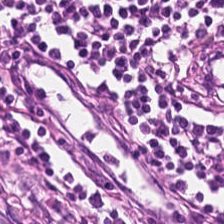Histology → lymphocyte aggregate.
